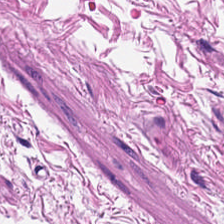FFPE · brightfield microscopy · hematoxylin and eosin.
This patch shows smooth muscle.
